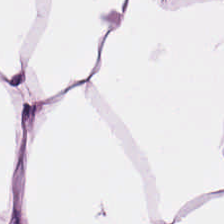H&E. WSI patch.
Tissue class: fat tissue.
